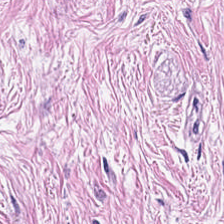Hematoxylin-and-eosin stained section. WSI patch. Q: What is shown here?
A: The field shows tumor-associated stroma.
